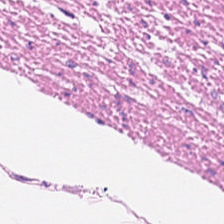Tissue — smooth muscle.
